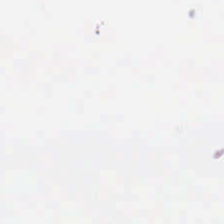This patch shows empty background.
